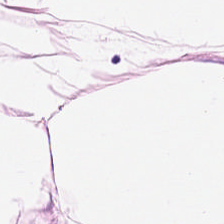H&E-stained tissue section showing adipocytes.
